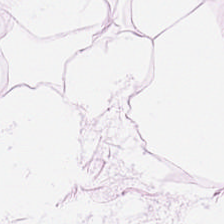FFPE tissue section · 224×224 pixel tile · hematoxylin-and-eosin stained section.
Showing fat tissue.
